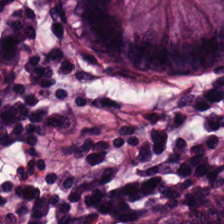Stain: hematoxylin and eosin.
Resolution: 20× equivalent magnification.
Tile size: 224×224 pixel tile.
Classification: benign colonic mucosa.
